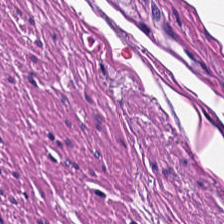Formalin-fixed paraffin-embedded section; H&E — The tissue here is muscularis.
